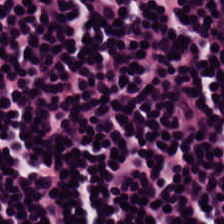Lymphocytes.
